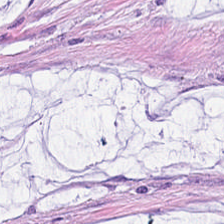Brightfield microscopy. H&E stain. 224×224 px tile.
Impression — extracellular mucin.
